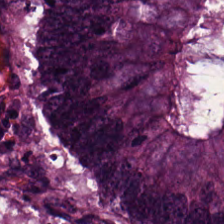Predominantly tumor epithelium.
